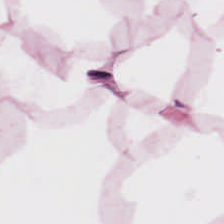Stain: H&E-stained tissue section.
Tissue: fat tissue.
